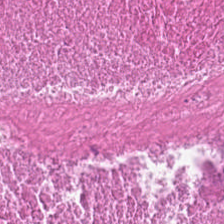H&E-stained tissue section. Whole-slide-image patch. The tissue class is cellular debris.
